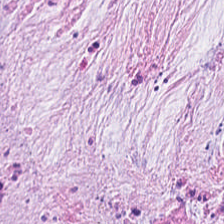Histology — tumor stroma.
